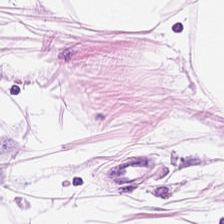Fat tissue.
